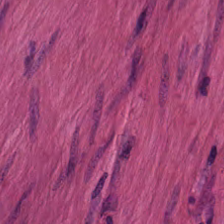The tissue class is smooth-muscle tissue.
